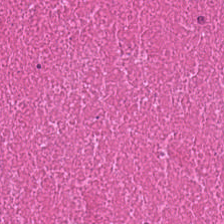0.5 microns per pixel; brightfield; H&E-stained tissue section.
Cellular debris.
